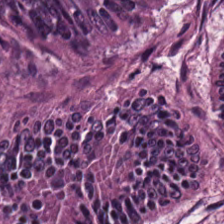Hematoxylin and eosin — Finding — adenocarcinoma.
